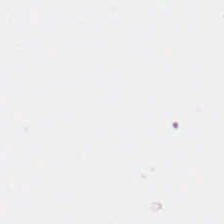224×224 pixel tile · hematoxylin-and-eosin stained section · WSI patch. Q: What is shown in this field?
A: It is empty background.
